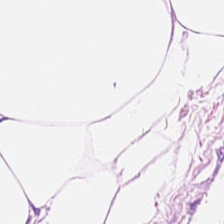Tissue class — fat tissue.
